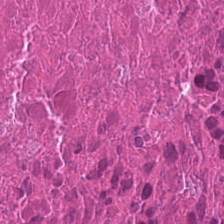Stain: hematoxylin-and-eosin stained section.
Acquisition: brightfield microscopy.
Classification: cellular debris.
